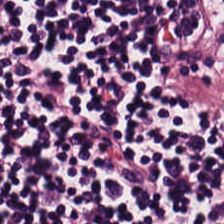The tissue class is lymphocyte aggregate.
